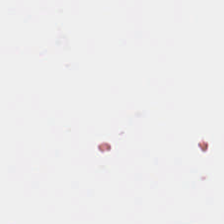Content — no tissue.
